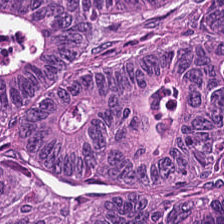224×224 pixel tile. H&E stain. 0.5 µm per pixel.
Histology — malignant epithelium.
